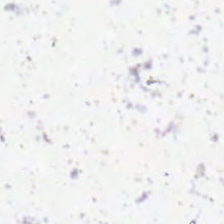H&E stain. Empty field — empty background.
